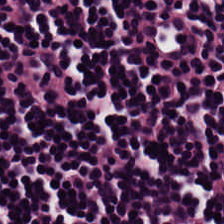Hematoxylin-and-eosin stained section. Classification: lymphocytic infiltrate.
